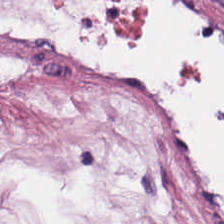Hematoxylin and eosin. 224×224 pixel tile. FFPE. Showing adipose tissue.
